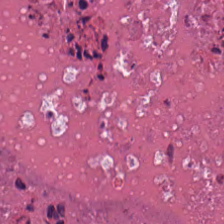Classification = necrotic debris.
